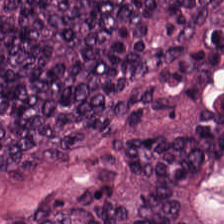WSI patch. H&E.
The predominant tissue is tumor epithelium.
